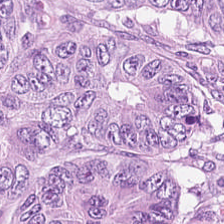Hematoxylin and eosin · brightfield microscopy — The predominant tissue is colorectal adenocarcinoma.
